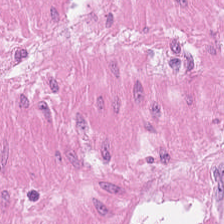Hematoxylin and eosin.
This field is muscularis.
